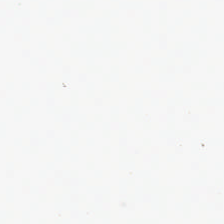H&E stain. Empty field — empty background.
